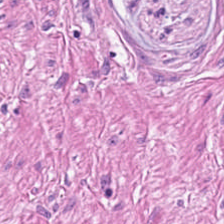This patch shows smooth muscle.
